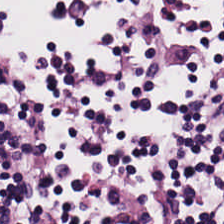H&E. Q: What tissue is shown?
A: It is lymphocyte aggregate.
